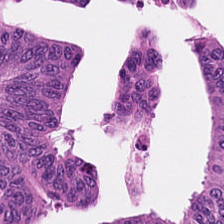H&E stain. 0.5 µm/px — Predominant tissue — colorectal adenocarcinoma.
